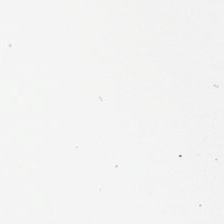H&E stain.
Background (no tissue).
